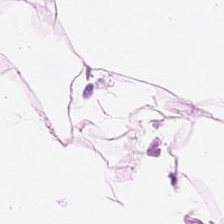H&E · 20× equivalent magnification — Tissue = adipocytes.
